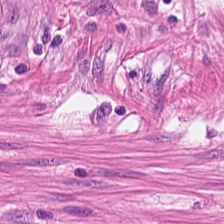Hematoxylin-and-eosin stained section; formalin-fixed paraffin-embedded section — The tissue type is muscularis.
